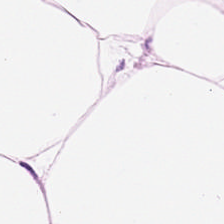Finding — adipose tissue.
